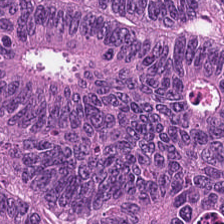H&E-stained tissue section showing adenocarcinoma.
